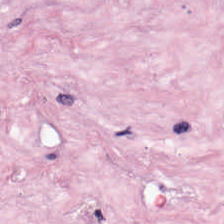Impression → tumor stroma.
